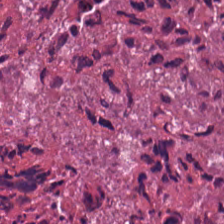H&E · 224×224 pixel tile · FFPE tissue section. The classification is necrotic debris.
